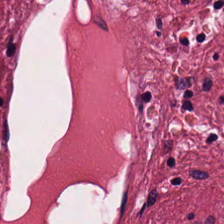224×224 px tile · 0.5 µm per pixel · hematoxylin and eosin.
Predominant tissue: desmoplastic stroma.
